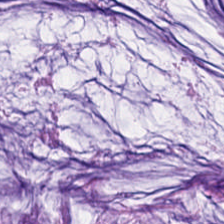Stain: hematoxylin-and-eosin stained section.
Tissue: extracellular mucin.
